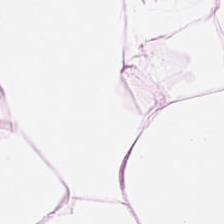Brightfield. 0.5 microns per pixel. H&E-stained tissue section. Finding → fat tissue.
